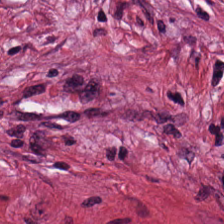This field is desmoplastic stroma.
